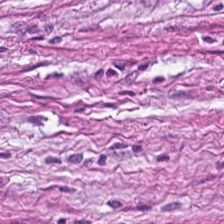H&E stain · 224×224 px tile.
The tissue is tumor-associated stroma.
